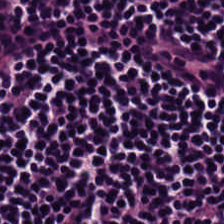Hematoxylin and eosin; formalin-fixed paraffin-embedded section. Showing lymphocytic infiltrate.
